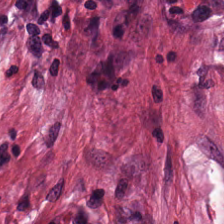Q: What is shown here?
A: The field shows desmoplastic stroma.
